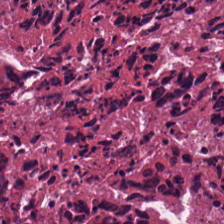Hematoxylin and eosin. Tissue = cellular debris.
